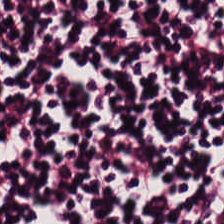H&E — This field is lymphoid infiltrate.
